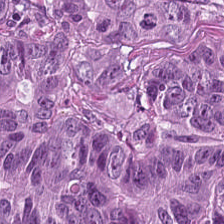Stain: hematoxylin-and-eosin stained section.
Resolution: 0.5 µm per pixel.
Tissue type: malignant epithelium.
